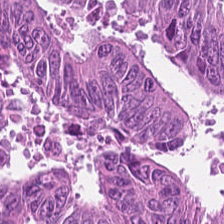H&E — Tissue type = adenocarcinoma.
